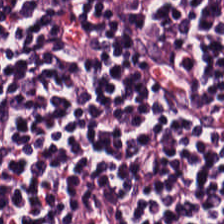Brightfield; 0.5 µm per pixel; H&E-stained tissue section.
Q: What does this patch show?
A: It is lymphoid infiltrate.
